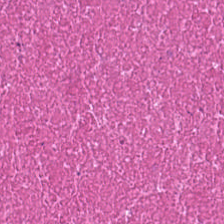Stain: H&E-stained tissue section.
Acquisition: whole-slide-image patch.
Classification: cellular debris.
